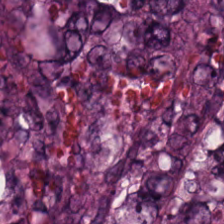H&E stain — Classification — malignant epithelium.
